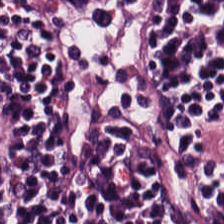FFPE · hematoxylin-and-eosin stained section. Impression → lymphoid infiltrate.
